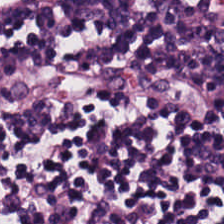0.5 µm per pixel · hematoxylin-and-eosin stained section.
Finding — lymphocytic infiltrate.
